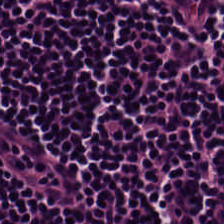H&E-stained tissue section. 224×224 pixel tile — This field is lymphocytic infiltrate.
